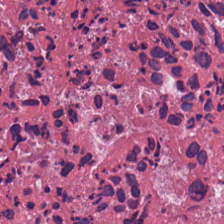H&E.
The tissue is debris.
